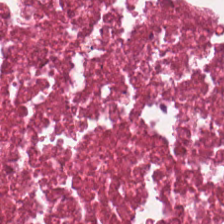H&E stain. Showing necrotic debris.
